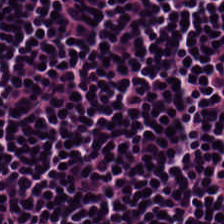H&E · 224×224 pixel tile — Showing lymphoid infiltrate.
